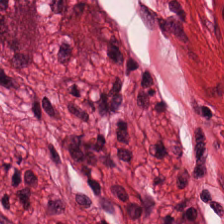Q: Classify this patch.
A: It is smooth muscle.
